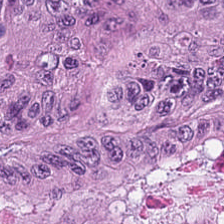H&E stain; 20× equivalent magnification.
Predominant tissue: tumor epithelium.
